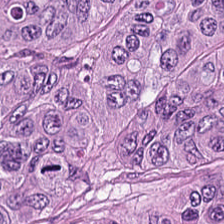H&E patch showing tumor epithelium.
